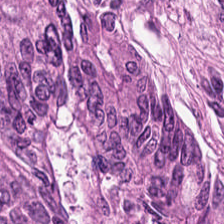224×224 px patch. Whole-slide-image patch. Hematoxylin and eosin — The predominant tissue is adenocarcinoma.
